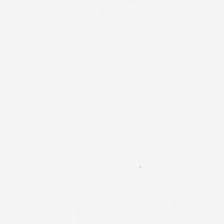Hematoxylin and eosin. Q: What is shown in this field?
A: It is empty background.
